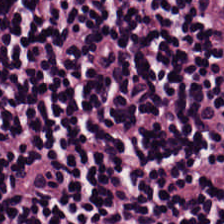20× equivalent magnification. H&E — Predominantly lymphocytic infiltrate.
